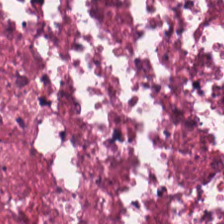H&E stain — Tissue: cellular debris.
